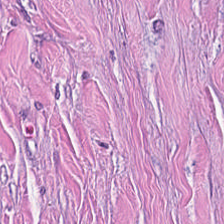Hematoxylin and eosin · brightfield · 0.5 microns per pixel. Classification — desmoplastic stroma.
